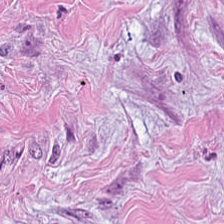H&E-stained tissue section · FFPE.
Q: What tissue is shown?
A: Tumor stroma.
